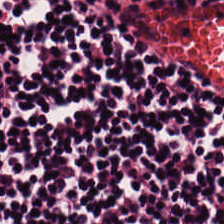H&E stain.
Classification — lymphoid infiltrate.
